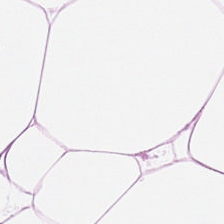Formalin-fixed paraffin-embedded section; hematoxylin and eosin.
Classification: fat tissue.
